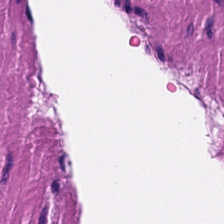H&E — The tissue class is smooth-muscle tissue.
